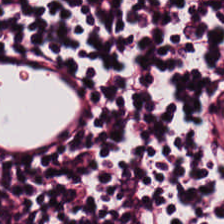Hematoxylin and eosin. Impression → lymphocytic infiltrate.
